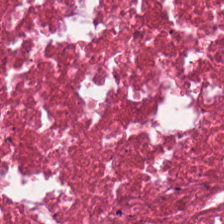H&E-stained tissue section. This patch shows necrotic debris.
